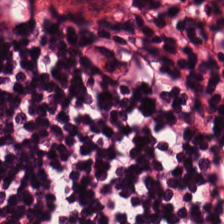H&E stain.
Showing lymphocyte aggregate.
